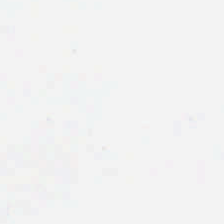Hematoxylin-and-eosin stained section — Content: background (no tissue).
